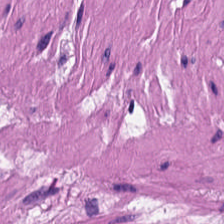H&E-stained tissue section; 0.5 µm per pixel — The tissue here is muscularis.
